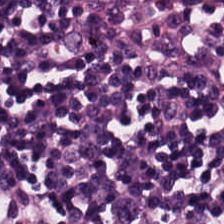Hematoxylin-and-eosin stained section.
Finding — lymphoid infiltrate.
